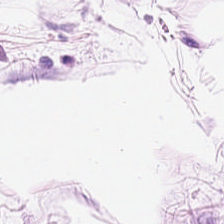224×224 px patch · hematoxylin-and-eosin stained section · WSI patch. The tissue here is adipocytes.
